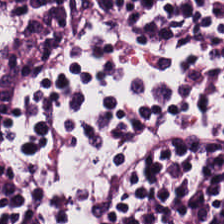Whole-slide-image patch. H&E. 224×224 px patch.
Tissue class = lymphocytes.
